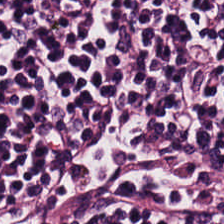Stain: hematoxylin-and-eosin stained section.
Classification: lymphocyte aggregate.
